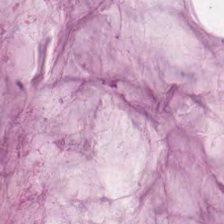The tissue is mucus.
